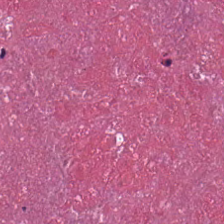Formalin-fixed paraffin-embedded section · H&E stain.
Predominantly debris.
